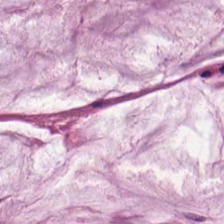Stain: hematoxylin and eosin.
Tissue type: mucus.
